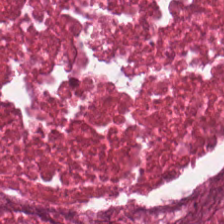H&E-stained tissue section; 224×224 pixel tile; whole-slide-image patch — {"tissue_type": "cellular debris"}
